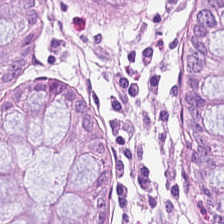Hematoxylin and eosin — Q: What tissue type is shown here?
A: The field shows benign colonic mucosa.
